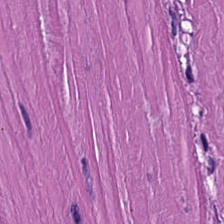WSI patch · hematoxylin-and-eosin stained section. Showing smooth-muscle tissue.
